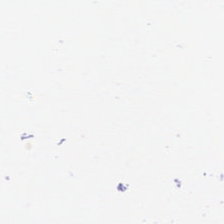Hematoxylin and eosin.
No tissue.
